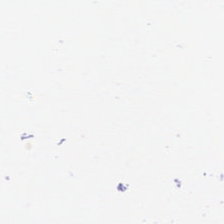Hematoxylin and eosin.
No tissue.
